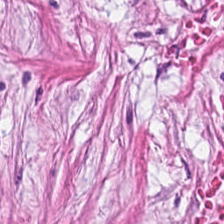Hematoxylin-and-eosin stained section. 224×224 px tile. FFPE — Impression — tumor stroma.
